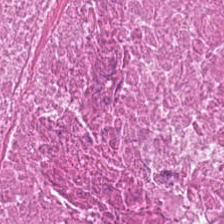0.5 µm per pixel. Hematoxylin-and-eosin stained section. Q: What tissue is shown?
A: The field shows cellular debris.
